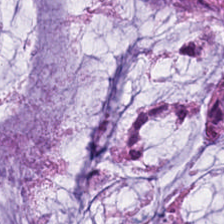224×224 px patch. Whole-slide-image patch. H&E-stained tissue section. Classification — extracellular mucin.
